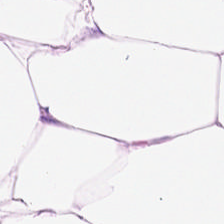Tissue: fat tissue.
